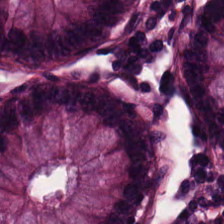Tissue class = benign colonic mucosa.
